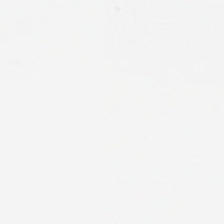FFPE; H&E-stained tissue section; whole-slide-image patch.
This field is background (no tissue).
